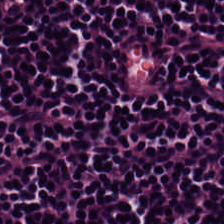H&E stain; 0.5 µm/px; FFPE tissue section.
The predominant tissue is lymphocytes.
